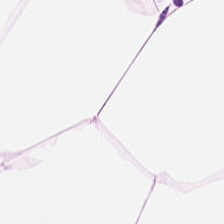H&E · 0.5 microns per pixel — The tissue class is adipocytes.
